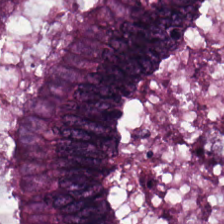Hematoxylin-and-eosin section: malignant epithelium.
